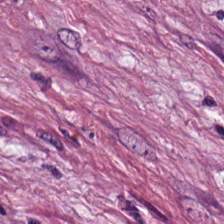Hematoxylin-and-eosin stained section — Tissue type = cancer-associated stroma.
